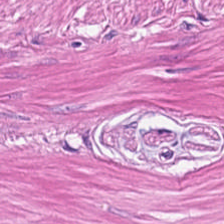{"tissue_type": "smooth muscle"}
